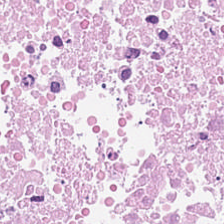Hematoxylin and eosin. FFPE — Showing necrotic debris.
